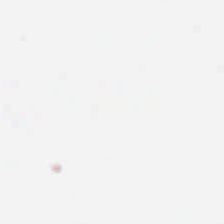H&E-stained tissue section; 224×224 px tile; FFPE tissue section — Classification — background.
